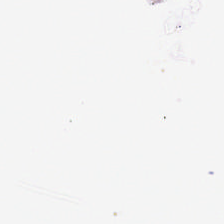Hematoxylin-and-eosin stained section.
Impression → empty background.
